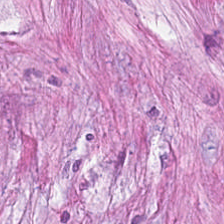Hematoxylin and eosin — Q: What tissue is shown?
A: Cancer-associated stroma.
